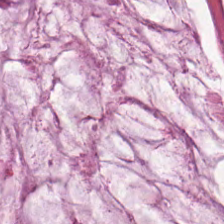Stain: H&E.
Classification: mucin.
